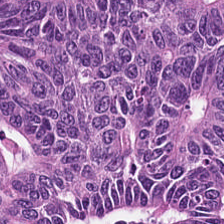Hematoxylin-and-eosin stained section; whole-slide-image patch; FFPE tissue section — Classification = adenocarcinoma.
